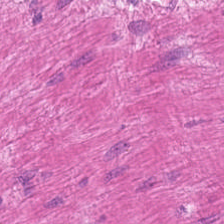Hematoxylin and eosin — Predominant tissue = smooth-muscle tissue.
